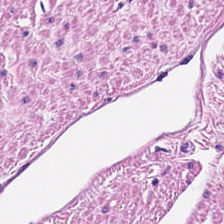0.5 µm per pixel · 224×224 px tile · H&E — Muscularis.
